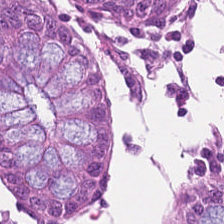Hematoxylin-and-eosin stained section; 224×224 px tile — This patch shows benign colonic mucosa.
